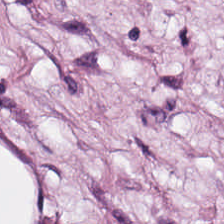WSI patch. H&E-stained tissue section. 224×224 px tile. The tissue here is adipose.
